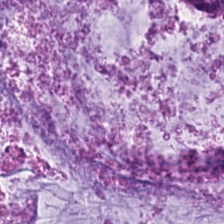Q: What is shown here?
A: It is mucus.
